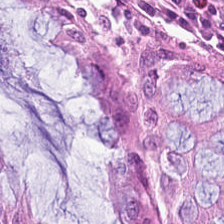The predominant tissue is benign colonic mucosa.
